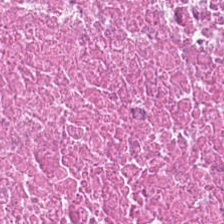Formalin-fixed paraffin-embedded section; 20× equivalent magnification; hematoxylin-and-eosin stained section.
Tissue class = necrotic debris.
